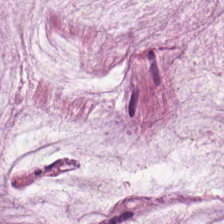H&E-stained tissue section — Tissue class: mucin.
